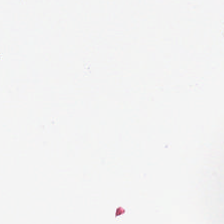Histology → background.
